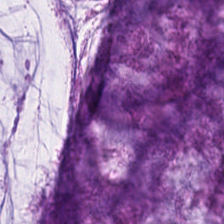H&E. {"tissue_type": "mucin"}
